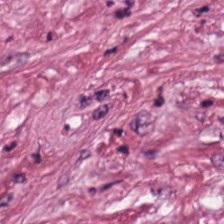Hematoxylin-and-eosin stained section. Q: What tissue is shown?
A: It is tumor-associated stroma.
